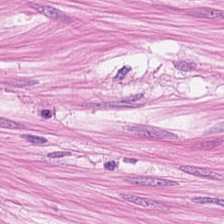Impression → smooth muscle.
